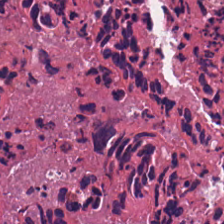Tissue: necrotic debris.
